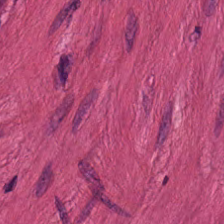WSI patch. FFPE tissue section. Hematoxylin-and-eosin stained section. This patch shows muscularis.
